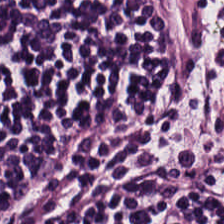Hematoxylin and eosin. Tissue class = lymphoid infiltrate.
